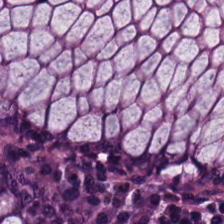H&E. This field is non-neoplastic colon mucosa.
